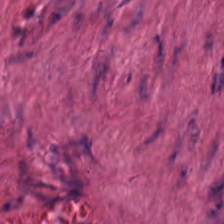Hematoxylin and eosin; FFPE tissue section; brightfield — Q: Classify this patch.
A: The field shows smooth-muscle tissue.
